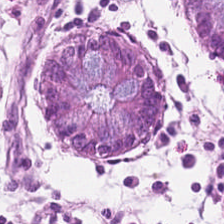0.5 µm/px; hematoxylin-and-eosin stained section; 224×224 px tile.
The tissue here is non-neoplastic colon mucosa.
